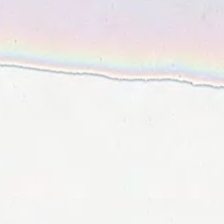Field content: background.
